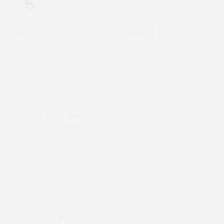Hematoxylin-and-eosin stained section. FFPE. Whole-slide-image patch. Classification: no tissue.
